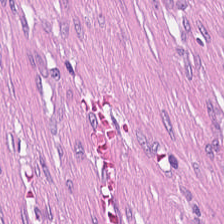Hematoxylin-and-eosin stained section. Finding → tumor stroma.
